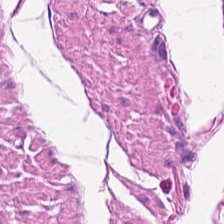Stain: H&E stain.
Classification: smooth-muscle tissue.
